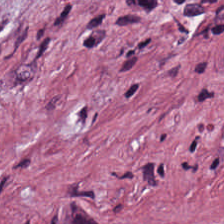H&E stain.
Showing desmoplastic stroma.
